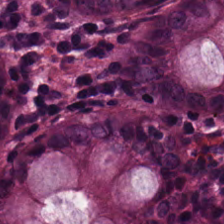Hematoxylin and eosin. FFPE tissue section — {"tissue_type": "non-neoplastic colon mucosa"}
